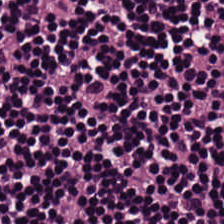H&E — Predominant tissue — lymphocytic infiltrate.
